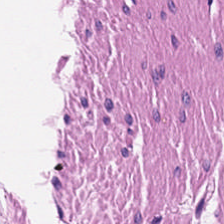H&E stain.
Q: Identify the tissue.
A: This is smooth muscle.
